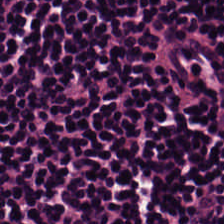H&E-stained tissue section — Lymphocytes.
